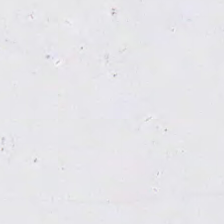Background — no tissue in this field.
